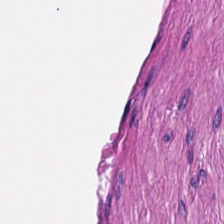FFPE tissue section. Hematoxylin and eosin. Q: What is shown here?
A: Muscularis.
